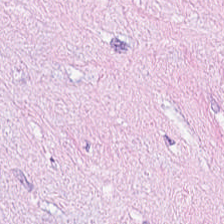20× equivalent magnification; hematoxylin-and-eosin stained section.
Q: What type of tissue is this?
A: It is desmoplastic stroma.
